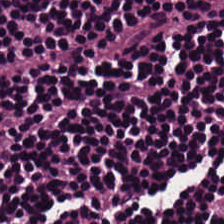Hematoxylin-and-eosin stained section.
Predominant tissue — lymphocytes.
